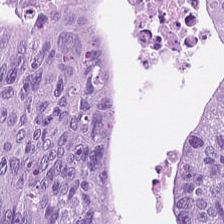224×224 px patch · 0.5 µm per pixel · H&E-stained tissue section — Histology → adenocarcinoma.
